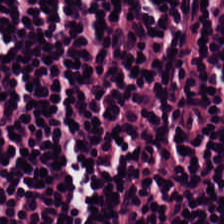WSI patch · H&E stain — Q: What tissue type is shown here?
A: Lymphocyte aggregate.
